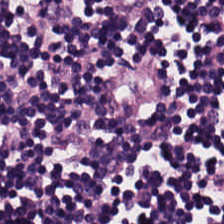H&E-stained tissue section · 224×224 px tile.
Lymphocyte aggregate.
